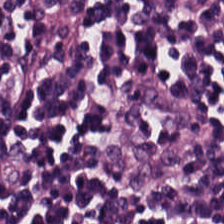Hematoxylin-and-eosin stained section; 20× equivalent magnification — Impression — lymphocytic infiltrate.
